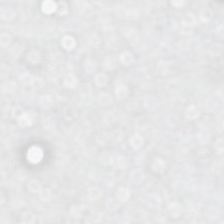WSI patch; H&E stain — Classification — empty background.
